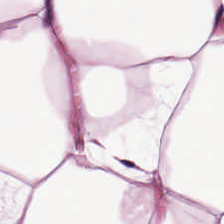Tissue — adipose.
